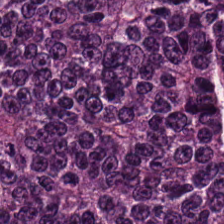Stain: H&E-stained tissue section.
Tile size: 224×224 px tile.
Tissue: colorectal adenocarcinoma epithelium.
